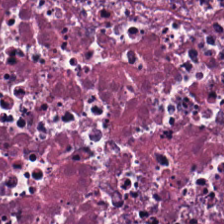Stain: H&E stain.
Tissue: cellular debris.
